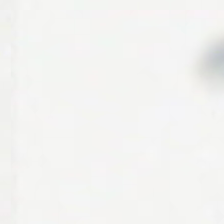H&E-stained tissue section.
This patch shows background.
